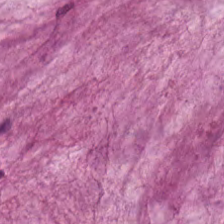H&E.
This field is extracellular mucin.
